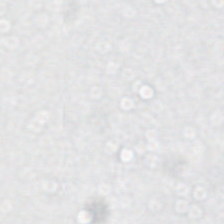Whole-slide-image patch; 0.5 µm/px; H&E stain — Impression — background.
